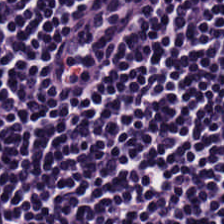Stain: H&E.
Tissue type: lymphocytes.
